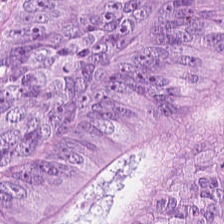0.5 µm per pixel. Hematoxylin-and-eosin stained section. The predominant tissue is adenocarcinoma.
